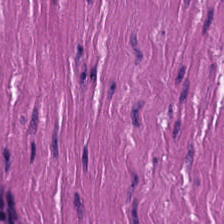Tissue — smooth muscle.
